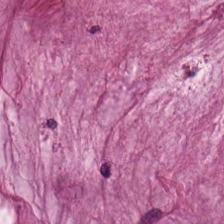H&E stain — Tissue type — mucus.
